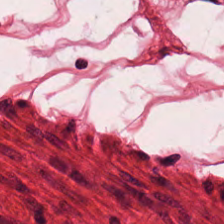Stain: H&E stain.
Resolution: 0.5 microns per pixel.
Tissue type: smooth muscle.
